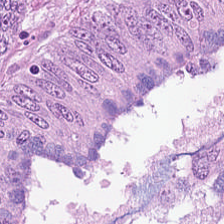0.5 µm per pixel · H&E stain — The tissue type is colorectal adenocarcinoma.
